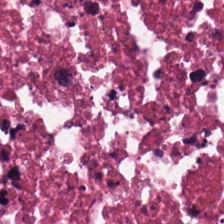Cellular debris.
